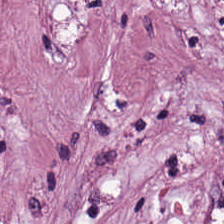This field is cancer-associated stroma.
